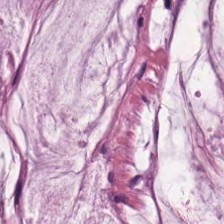Finding — mucus.
